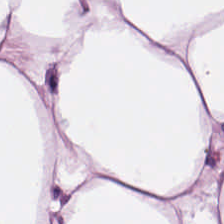0.5 µm per pixel; H&E stain.
Finding — adipocytes.
